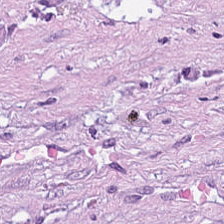H&E-stained section; the field shows cancer-associated stroma.
